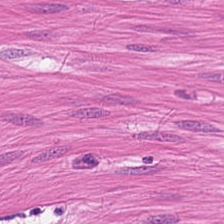Stain: H&E.
Tile size: 224×224 px tile.
Acquisition: brightfield microscopy.
Tissue class: muscularis.
